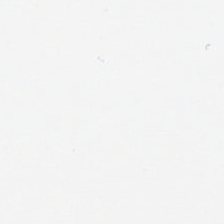Stain: H&E-stained tissue section.
Resolution: 0.5 µm per pixel.
Acquisition: brightfield.
Classification: background.
